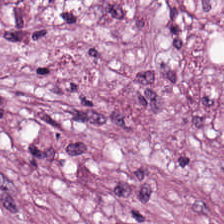Hematoxylin and eosin — Histology — tumor-associated stroma.
